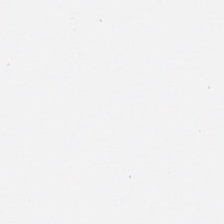0.5 µm per pixel. H&E-stained tissue section. Classification: background.
